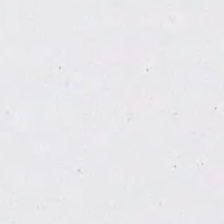H&E-stained tissue section. 0.5 µm/px. Whole-slide-image patch — Background.
